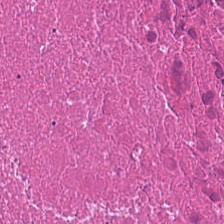Hematoxylin-and-eosin stained section. Predominantly debris.
